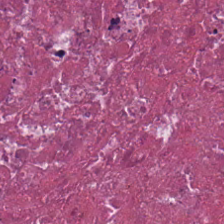Q: What tissue is shown?
A: This is debris.
